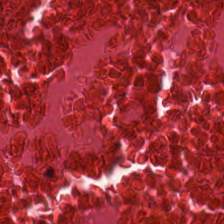Stain: H&E stain.
Classification: cellular debris.
